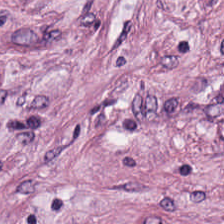Q: Classify this patch.
A: Tumor stroma.
